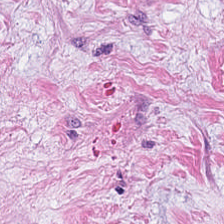Classification — desmoplastic stroma.
